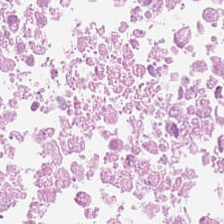Brightfield; hematoxylin-and-eosin stained section — Cellular debris.
